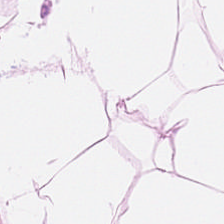H&E stain — This field is adipose.
